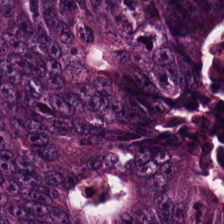WSI patch. 224×224 px tile. H&E-stained tissue section. Histology — adenocarcinoma.
